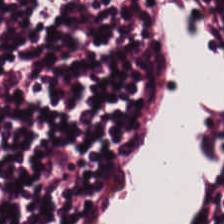Q: Identify the tissue.
A: This is lymphocytes.
